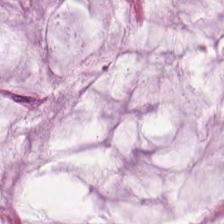Hematoxylin-and-eosin stained section · 0.5 µm/px.
{"tissue_type": "extracellular mucin"}
